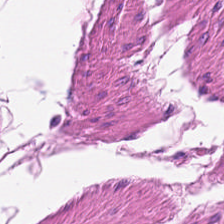Q: What is shown in this field?
A: The field shows muscularis.
